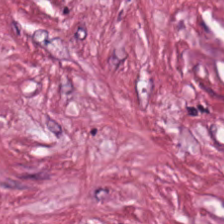0.5 microns per pixel. H&E — The tissue type is cancer-associated stroma.
